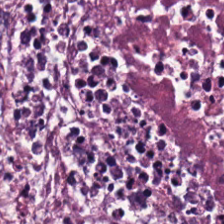Formalin-fixed paraffin-embedded section. H&E. The tissue is debris.
